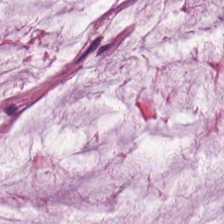Brightfield microscopy; hematoxylin-and-eosin stained section — Tissue — extracellular mucin.
